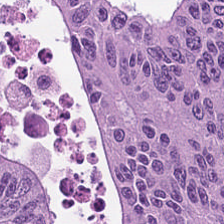Hematoxylin and eosin.
Q: What is the predominant tissue type?
A: It is tumor epithelium.
